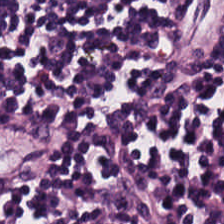H&E. 224×224 pixel tile.
The predominant tissue is lymphoid infiltrate.
